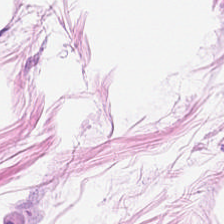Hematoxylin-and-eosin stained section — Q: What type of tissue is this?
A: Adipose.
